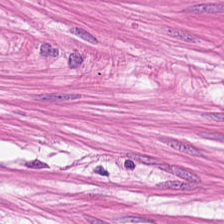WSI patch · hematoxylin-and-eosin stained section — {"tissue_type": "smooth muscle"}
